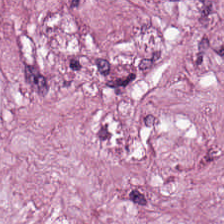Stain: H&E stain.
Tissue: cancer-associated stroma.
